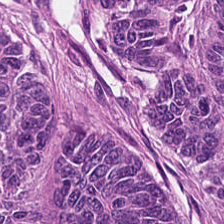H&E-stained tissue section. 224×224 pixel tile. Impression → colorectal adenocarcinoma.
